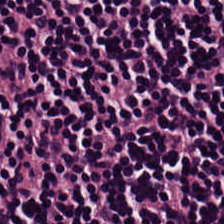H&E stain — The classification is lymphocytic infiltrate.
